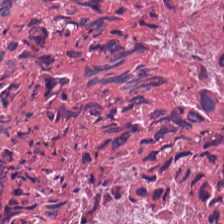H&E-stained tissue section.
The tissue here is necrotic debris.
